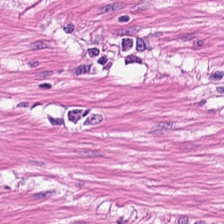Hematoxylin and eosin.
Predominantly muscularis.
